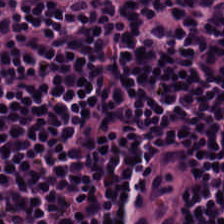H&E · FFPE — Q: Classify this patch.
A: The field shows lymphoid infiltrate.
